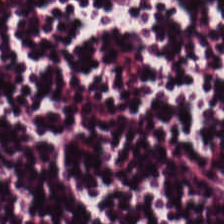H&E stain.
Impression → lymphocytic infiltrate.
